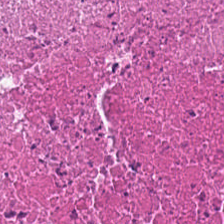Brightfield microscopy. H&E-stained tissue section. FFPE. The tissue type is debris.
